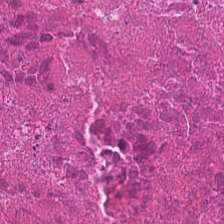Stain: hematoxylin-and-eosin stained section.
Predominant tissue: necrotic debris.
